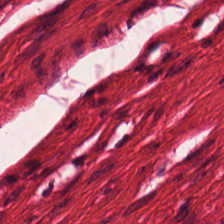H&E; 0.5 microns per pixel.
{"tissue_type": "muscularis"}
